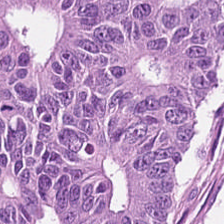Brightfield microscopy. Hematoxylin and eosin. The classification is colorectal adenocarcinoma.
